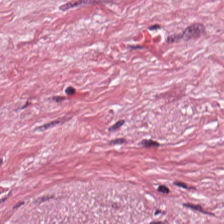Brightfield microscopy · 224×224 px patch · hematoxylin-and-eosin stained section — Classification — tumor-associated stroma.
